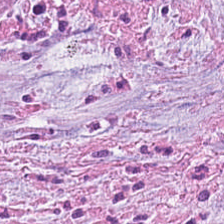H&E-stained tissue section · 224×224 px patch · FFPE tissue section — Predominant tissue — tumor stroma.
